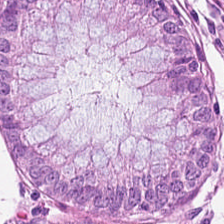Formalin-fixed paraffin-embedded section · H&E. Non-neoplastic colon mucosa.
